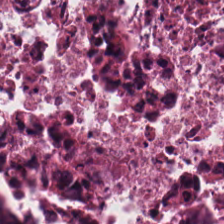Hematoxylin-and-eosin stained section. This patch shows debris.
